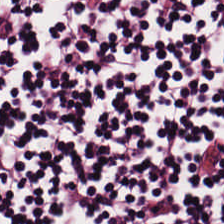H&E. FFPE. 0.5 µm/px — Tissue class: lymphocyte aggregate.
